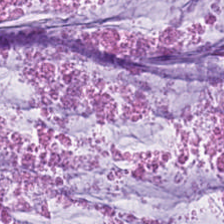Formalin-fixed paraffin-embedded section; hematoxylin and eosin. Predominantly mucus.
